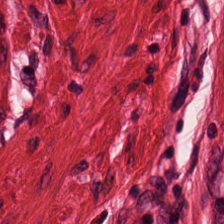H&E-stained tissue section.
Tissue type: smooth muscle.
